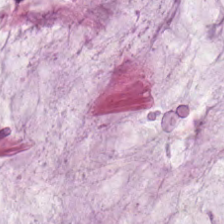Q: What tissue is shown?
A: The field shows mucin.
